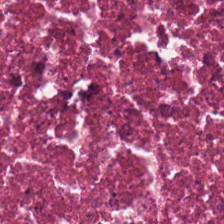Brightfield; H&E — Q: Classify this patch.
A: It is necrotic debris.
